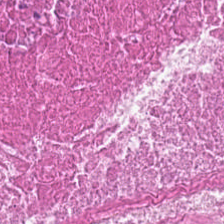H&E-stained tissue section. Classification — debris.
